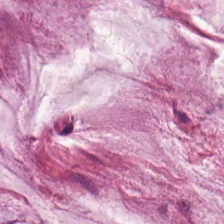Stain: H&E.
Predominant tissue: mucus.
